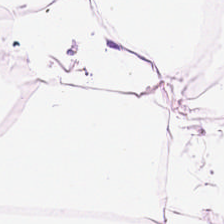The tissue is fat tissue.
